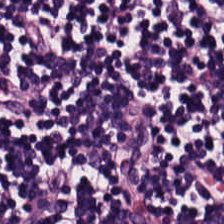H&E-stained tissue section.
The tissue here is lymphocytic infiltrate.
